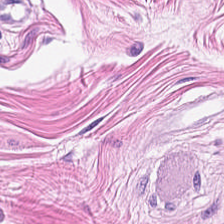Stain: H&E.
Tissue type: smooth-muscle tissue.
